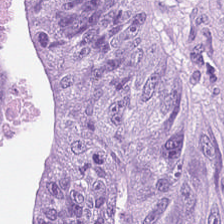Stain: H&E-stained tissue section.
Tissue: adenocarcinoma.
